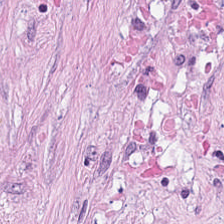WSI patch · 224×224 pixel tile · H&E stain. Desmoplastic stroma.
